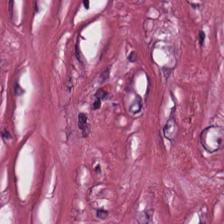Predominantly tumor stroma.
